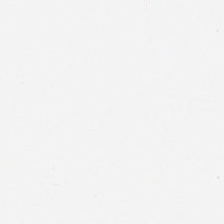FFPE · brightfield · H&E.
No tissue present; background only.
